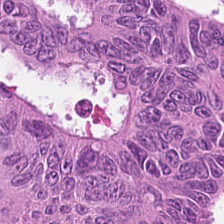Brightfield · hematoxylin-and-eosin stained section.
Predominantly tumor epithelium.
